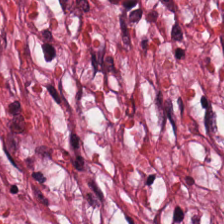Stain: hematoxylin and eosin.
Preparation: FFPE.
Tissue: cancer-associated stroma.
